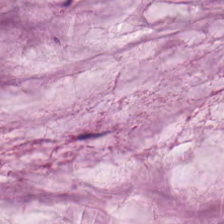Hematoxylin-and-eosin section: mucin.
